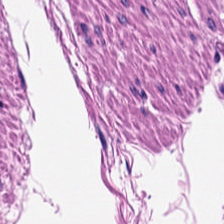FFPE · H&E.
The tissue class is smooth-muscle tissue.
